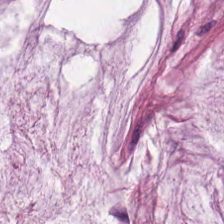20× equivalent magnification. Hematoxylin and eosin — The tissue type is mucin.
